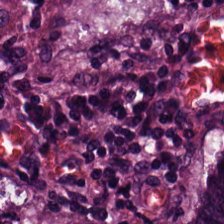H&E stain — Histology → tumor epithelium.
